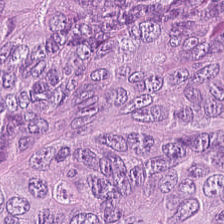H&E stain — Impression — adenocarcinoma.
